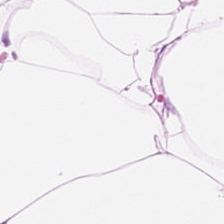224×224 px tile. H&E. Predominant tissue — fat tissue.
